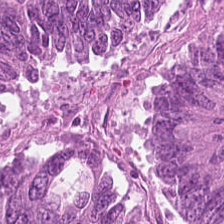H&E. Brightfield microscopy. Q: What tissue is shown?
A: Malignant epithelium.
